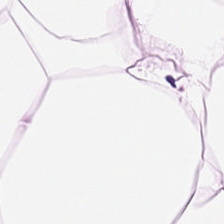Stain: hematoxylin and eosin.
Tissue class: adipocytes.
